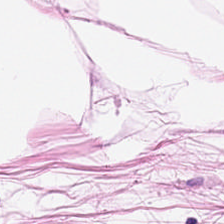H&E — adipose tissue.
